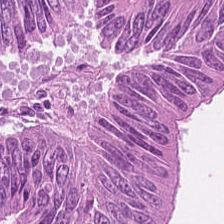H&E stain. Brightfield. 0.5 µm per pixel.
Q: Classify this patch.
A: This is adenocarcinoma.
